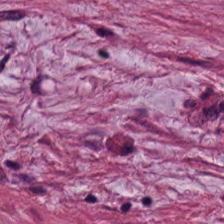Hematoxylin and eosin — Tissue class: tumor-associated stroma.
